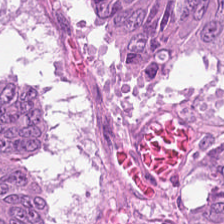Q: What is the predominant tissue type?
A: It is colorectal adenocarcinoma.
